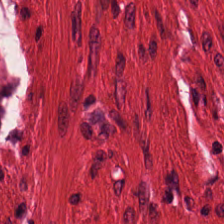H&E-stained tissue section. Formalin-fixed paraffin-embedded section.
Predominantly muscularis.
